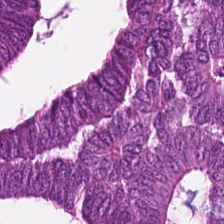Hematoxylin-and-eosin stained section.
The classification is malignant epithelium.
